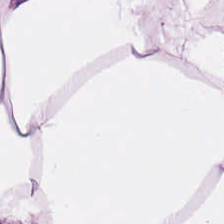H&E-stained tissue section — This field is adipocytes.
